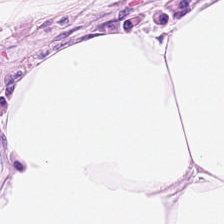Brightfield microscopy; hematoxylin and eosin — Showing fat tissue.
